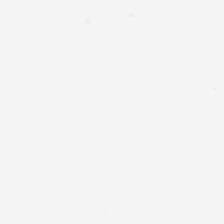Formalin-fixed paraffin-embedded section. WSI patch. H&E.
No tissue.
